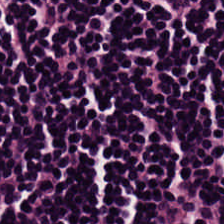Hematoxylin-and-eosin stained section — Tissue = lymphocytes.
